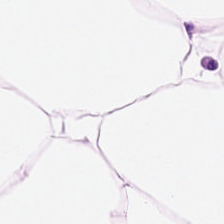The tissue type is adipose.
